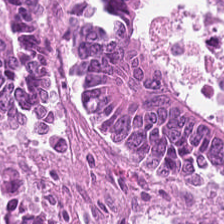H&E-stained tissue section; 0.5 µm/px; FFPE — Classification: colorectal adenocarcinoma.
